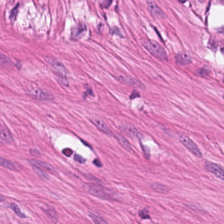0.5 µm/px. Hematoxylin and eosin. Formalin-fixed paraffin-embedded section — The classification is smooth-muscle tissue.
